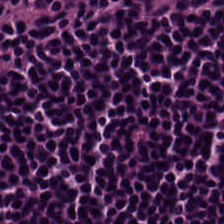Q: What is shown in this field?
A: Lymphocyte aggregate.
